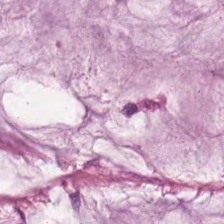Hematoxylin and eosin. This patch shows mucin.
